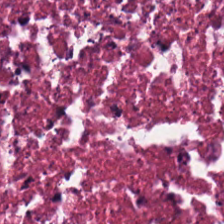Hematoxylin and eosin — Impression → cellular debris.
